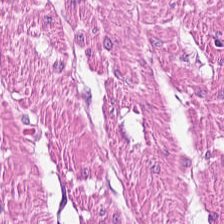Hematoxylin-and-eosin stained section · brightfield microscopy.
Predominant tissue = muscularis.
